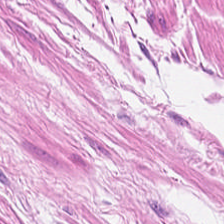H&E-stained tissue section. Q: What type of tissue is this?
A: Smooth muscle.
